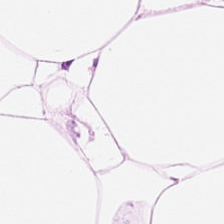Showing adipocytes.
